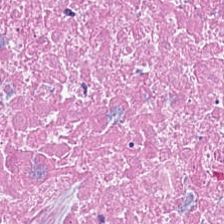The predominant tissue is debris.
